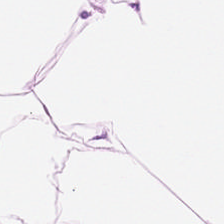Impression → adipocytes.
